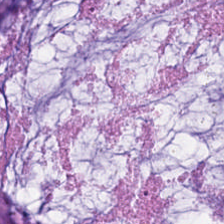{"tissue_type": "mucin"}
